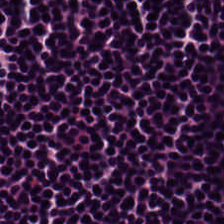H&E stain.
Q: What is shown here?
A: Lymphocyte aggregate.
